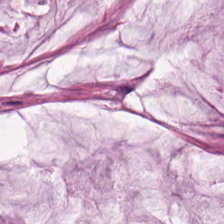Tissue type — mucin.
